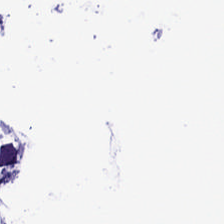H&E. FFPE tissue section. Brightfield microscopy. Q: Classify this patch.
A: This is background.
